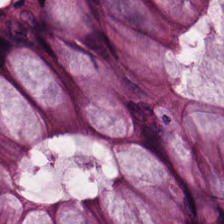Q: Identify the tissue.
A: The field shows non-neoplastic colon mucosa.
